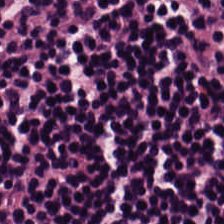H&E stain; 0.5 microns per pixel; formalin-fixed paraffin-embedded section.
This patch shows lymphoid infiltrate.
